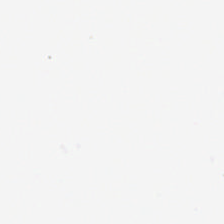0.5 µm/px; H&E; brightfield.
Impression → background.
